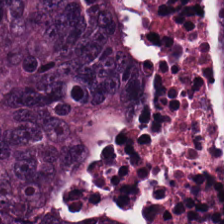H&E stain.
Classification = malignant epithelium.
